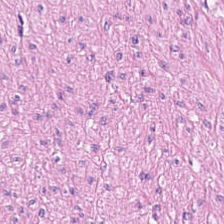Stain: H&E-stained tissue section.
Tissue: smooth-muscle tissue.
